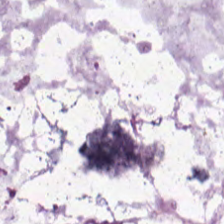H&E-stained tissue section — {"tissue_type": "mucus"}
